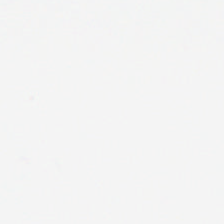Stain: hematoxylin-and-eosin stained section.
Content: empty background.
